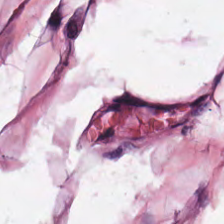Stain: H&E-stained tissue section.
Resolution: 0.5 µm/px.
Tissue class: adipocytes.
